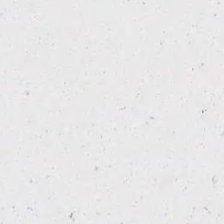Hematoxylin-and-eosin stained section — The field content is background.
